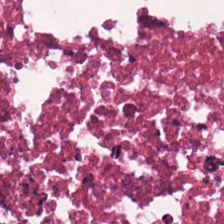Whole-slide-image patch; hematoxylin and eosin; 224×224 pixel tile.
Predominantly debris.
